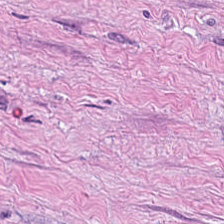Hematoxylin and eosin. Tissue = desmoplastic stroma.
